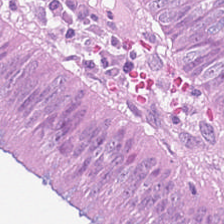Hematoxylin and eosin. This patch shows adenocarcinoma.
